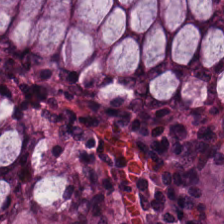H&E-stained tissue section — {"tissue_type": "normal colon mucosa"}
